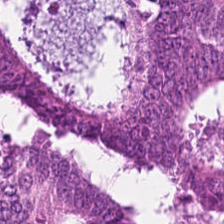Stain: H&E.
Classification: colorectal adenocarcinoma epithelium.
